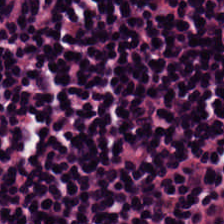The tissue type is lymphocyte aggregate.
